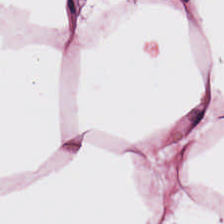Hematoxylin and eosin · 224×224 px tile — Tissue class = adipose.
